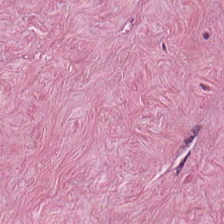H&E stain. Q: What type of tissue is this?
A: The field shows desmoplastic stroma.
